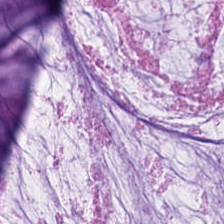FFPE. H&E-stained tissue section. Q: What is shown here?
A: The field shows mucin.
